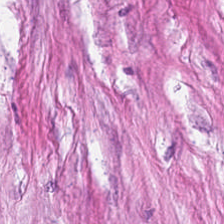The tissue class is tumor stroma.
